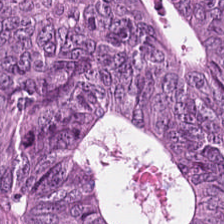Stain: H&E-stained tissue section.
Acquisition: brightfield microscopy.
Classification: tumor epithelium.
